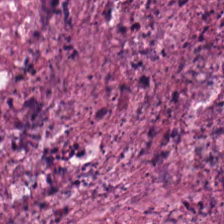Stain: H&E-stained tissue section.
Classification: necrotic debris.
